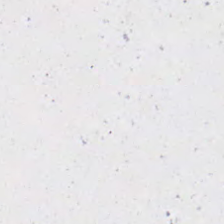224×224 px tile; hematoxylin and eosin; 0.5 µm/px — This patch shows empty background.
